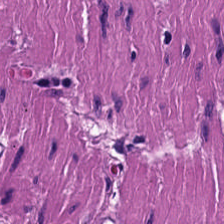H&E-stained tissue section. Showing muscularis.
